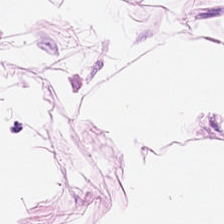Showing adipose tissue.
